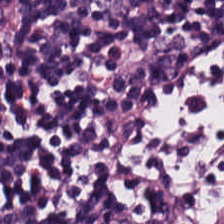H&E — Q: Identify the tissue.
A: Lymphocytes.
